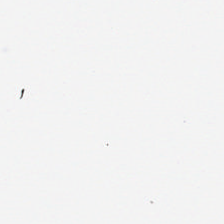224×224 px patch. FFPE. Hematoxylin-and-eosin stained section — Empty field — empty background.
